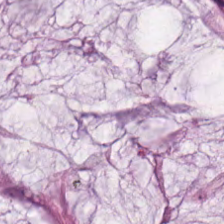Hematoxylin-and-eosin stained section. Q: What is shown in this field?
A: The field shows extracellular mucin.
